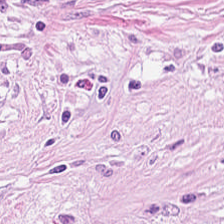H&E stain.
{"tissue_type": "cancer-associated stroma"}
